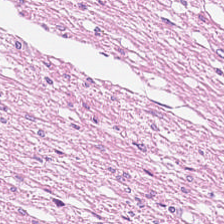Hematoxylin and eosin.
{"tissue_type": "muscularis"}
